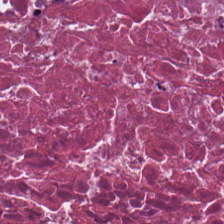Q: What is the predominant tissue type?
A: The field shows cellular debris.
